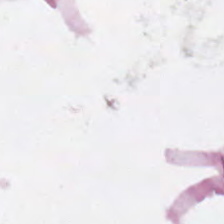0.5 µm per pixel. H&E. 224×224 pixel tile.
Predominant tissue: fat tissue.
